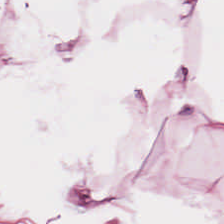H&E-stained tissue section.
Adipose.
